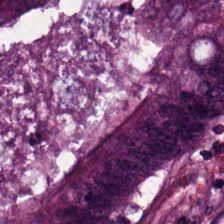Stain: H&E.
Tissue: adenocarcinoma.
